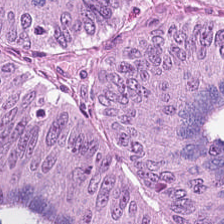Finding → adenocarcinoma.
